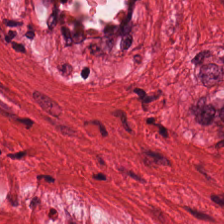H&E-stained tissue section — Impression — smooth muscle.
